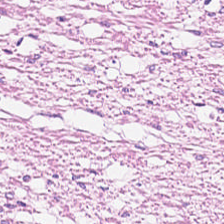The predominant tissue is smooth muscle.
